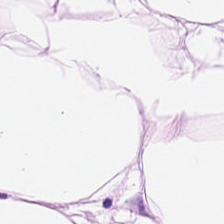H&E-stained tissue section.
Impression — adipose.
